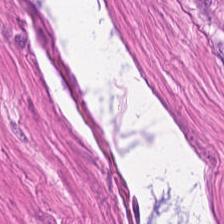H&E-stained tissue section. {"tissue_type": "smooth muscle"}
